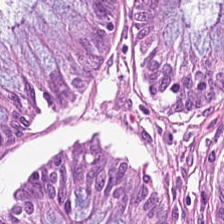Tissue type — non-neoplastic colon mucosa.
